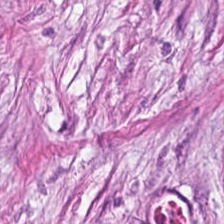H&E stain. Q: What tissue type is shown here?
A: It is desmoplastic stroma.
